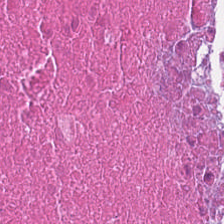Showing debris.
